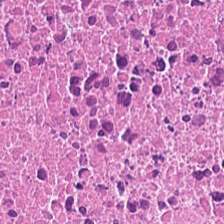H&E-stained tissue section. The tissue here is cellular debris.
